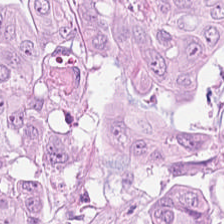Stain: H&E stain.
Tissue type: tumor epithelium.
